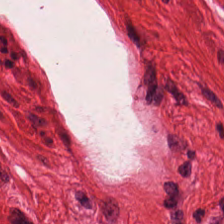Whole-slide-image patch · 224×224 px tile · hematoxylin-and-eosin stained section. Tissue type = smooth-muscle tissue.
